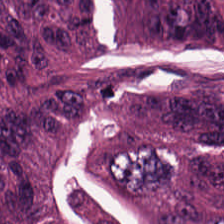224×224 pixel tile · H&E-stained tissue section · FFPE. Tissue type = malignant epithelium.
